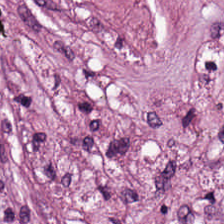H&E-stained tissue section. Q: Classify this patch.
A: This is tumor-associated stroma.
